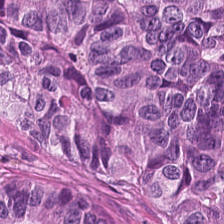Stain: H&E-stained tissue section.
Tissue class: colorectal adenocarcinoma.
